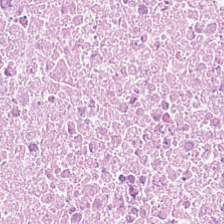Hematoxylin and eosin — Finding — necrotic debris.
